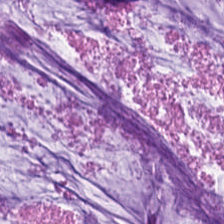Stain: H&E.
Tile size: 224×224 px tile.
Tissue: mucus.
